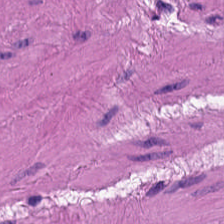Hematoxylin and eosin; 0.5 µm/px. Impression — muscularis.
